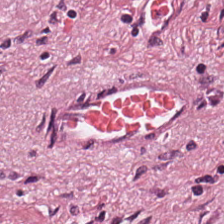224×224 px tile. Hematoxylin and eosin. Formalin-fixed paraffin-embedded section — Finding — tumor-associated stroma.
